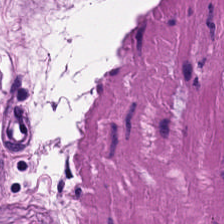H&E. Q: What is shown in this field?
A: Smooth muscle.
